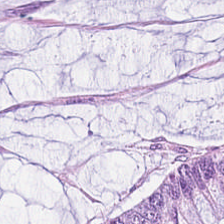224×224 px tile; H&E-stained tissue section. Q: What does this patch show?
A: This is mucus.
